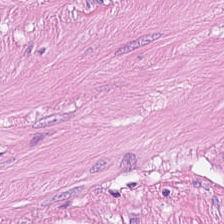Hematoxylin-and-eosin stained section.
Predominant tissue — smooth muscle.
